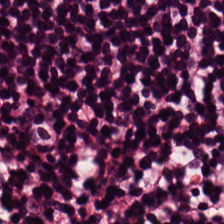H&E — This patch shows lymphoid infiltrate.
